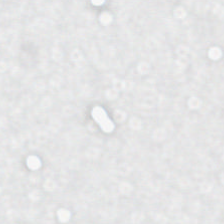Hematoxylin-and-eosin stained section. Formalin-fixed paraffin-embedded section.
Background — no tissue in this field.
